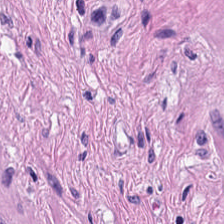H&E stain.
Showing smooth muscle.
